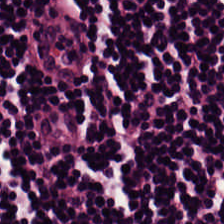Hematoxylin-and-eosin stained section — Q: What is shown in this field?
A: The field shows lymphocytic infiltrate.
